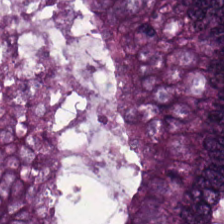H&E.
Predominant tissue = colorectal adenocarcinoma.
